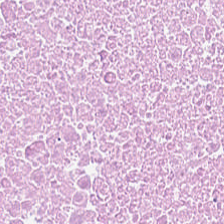H&E-stained tissue section. Q: What is shown in this field?
A: Cellular debris.
